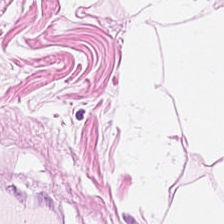H&E. 0.5 µm per pixel — Tissue type = fat tissue.
